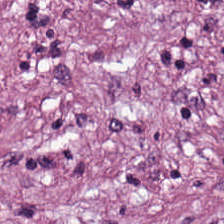0.5 µm/px. Hematoxylin and eosin. The tissue here is desmoplastic stroma.
